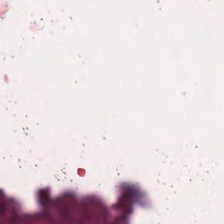Stain: H&E.
Classification: cellular debris.
